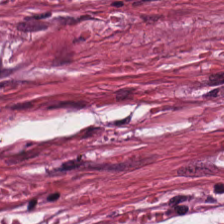224×224 px tile. H&E stain — This field is tumor stroma.
